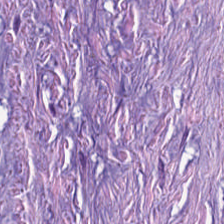Finding — cancer-associated stroma.
